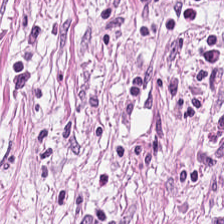Stain: hematoxylin and eosin.
Acquisition: whole-slide-image patch.
Tissue class: tumor-associated stroma.
